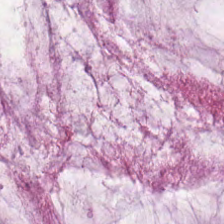Hematoxylin-and-eosin stained section.
Histology — extracellular mucin.
